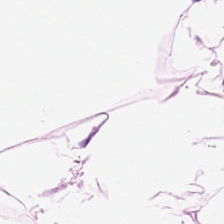H&E-stained tissue section. The tissue here is adipocytes.
